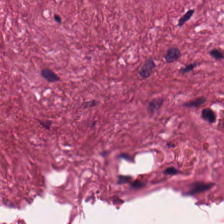WSI patch; hematoxylin-and-eosin stained section; 224×224 px tile.
Q: Classify this patch.
A: Tumor stroma.
